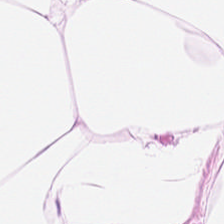FFPE tissue section · 0.5 µm per pixel · H&E-stained tissue section — This field is adipose tissue.
